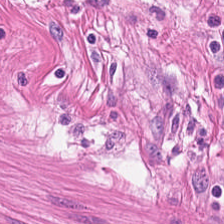H&E stain. FFPE tissue section — This patch shows smooth-muscle tissue.
